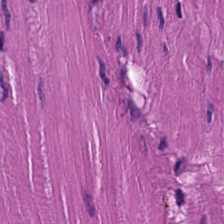Tissue type = smooth-muscle tissue.
